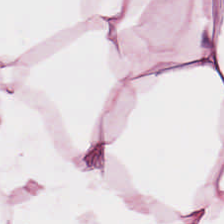Hematoxylin and eosin — Q: What tissue is shown?
A: The field shows adipose.
